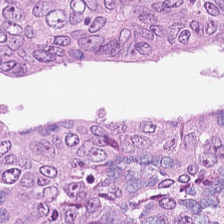Colorectal adenocarcinoma epithelium.
